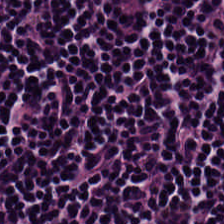Hematoxylin-and-eosin stained section. Classification: lymphoid infiltrate.
